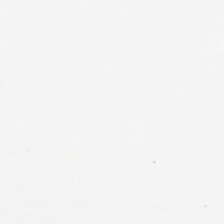No tissue.
